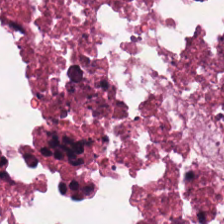Tissue — necrotic debris.
